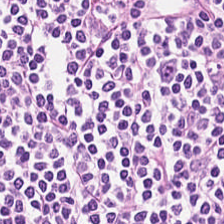Stain: hematoxylin and eosin.
Tissue type: lymphocytes.
